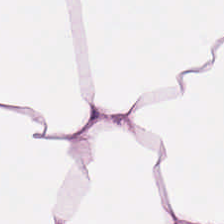H&E stain. Formalin-fixed paraffin-embedded section. Whole-slide-image patch — Q: What tissue type is shown here?
A: The field shows adipose.
